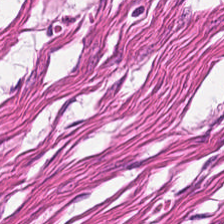H&E · 224×224 pixel tile. Predominant tissue = smooth-muscle tissue.
